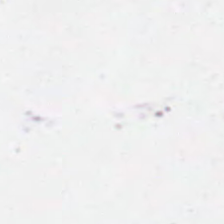No tissue present; background only.
